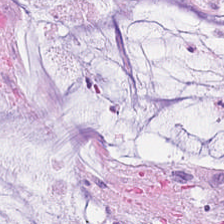Hematoxylin and eosin. FFPE tissue section. Impression → mucin.
